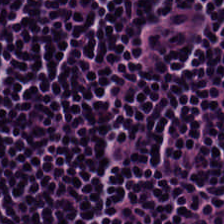H&E stain. Q: Classify this patch.
A: Lymphocytic infiltrate.
